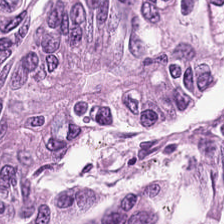Hematoxylin and eosin.
Histology → colorectal adenocarcinoma.
